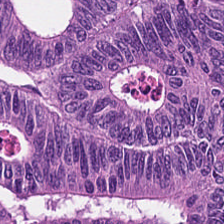Brightfield. H&E stain. Formalin-fixed paraffin-embedded section. This patch shows colorectal adenocarcinoma epithelium.
